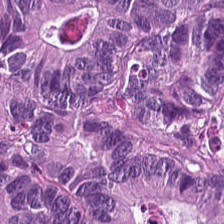Stain: hematoxylin-and-eosin stained section.
Classification: adenocarcinoma.
